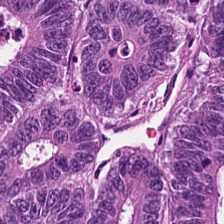H&E-stained tissue section.
Q: What tissue type is shown here?
A: The field shows colorectal adenocarcinoma epithelium.
